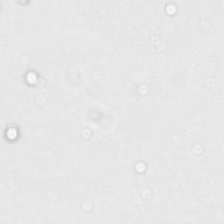224×224 pixel tile · H&E stain.
This patch shows no tissue.
